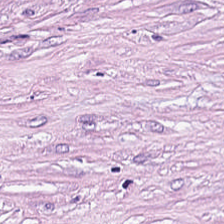H&E-stained tissue section.
Q: What type of tissue is this?
A: The field shows tumor stroma.
